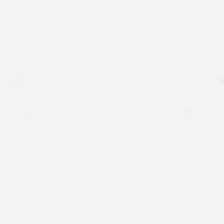224×224 px patch; H&E stain. Q: Classify this patch.
A: The field shows no tissue.
